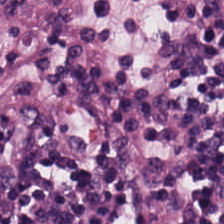H&E. {"tissue_type": "lymphocytic infiltrate"}
